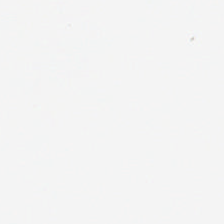224×224 px tile. 0.5 µm per pixel. Hematoxylin and eosin.
Q: What is shown here?
A: This is background.
